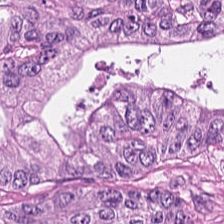H&E.
This field is colorectal adenocarcinoma.
